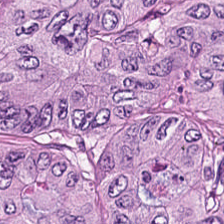{"tissue_type": "colorectal adenocarcinoma epithelium"}
